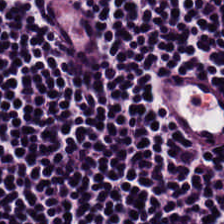H&E stain — Tissue type = lymphocytic infiltrate.
